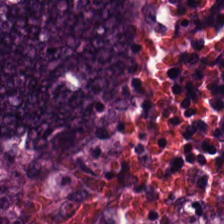Hematoxylin-and-eosin stained section. The predominant tissue is adenocarcinoma.
